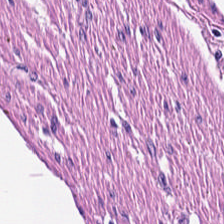Stain: H&E stain.
Tile size: 224×224 px tile.
Tissue: smooth-muscle tissue.
